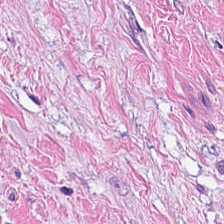H&E stain; 224×224 px patch. This patch shows cancer-associated stroma.
